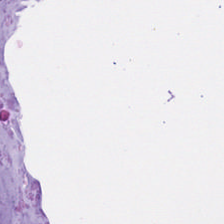{"tissue_type": "extracellular mucin"}
